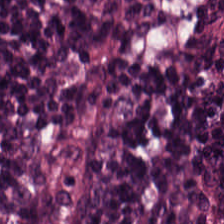Hematoxylin and eosin. 224×224 pixel tile. Q: What does this patch show?
A: It is lymphocytic infiltrate.
